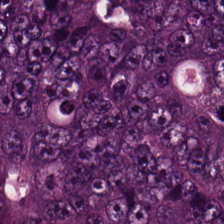Q: What type of tissue is this?
A: The field shows colorectal adenocarcinoma.
